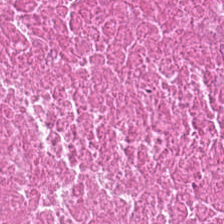Q: What is shown in this field?
A: It is debris.
